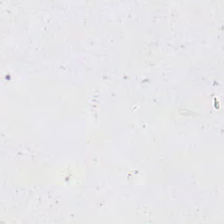H&E; formalin-fixed paraffin-embedded section — Classification = background (no tissue).
